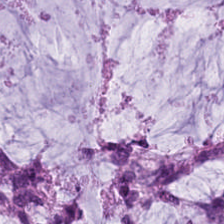H&E-stained tissue section. 0.5 µm per pixel. FFPE. Tissue — mucus.
